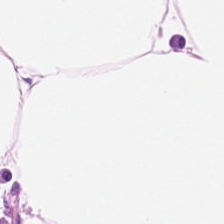Q: What is shown in this field?
A: This is adipocytes.
